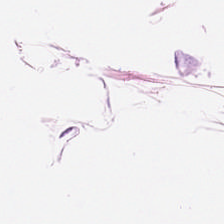Stain: H&E-stained tissue section.
Resolution: 0.5 microns per pixel.
Acquisition: whole-slide-image patch.
Tissue: fat tissue.
